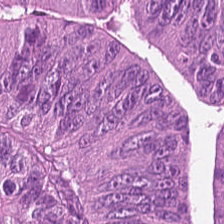H&E stain — Q: What tissue is shown?
A: The field shows colorectal adenocarcinoma epithelium.
